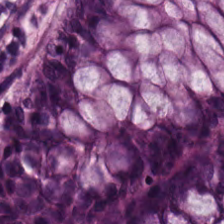224×224 px tile · H&E stain. Q: What tissue is shown?
A: Normal colon mucosa.
